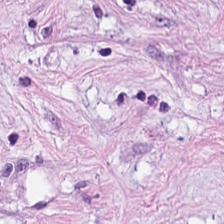H&E. Impression → tumor-associated stroma.
